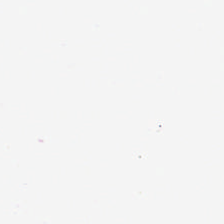H&E stain — This patch shows background.
